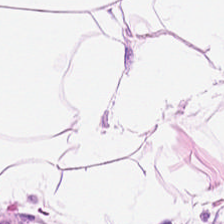Fat tissue.
